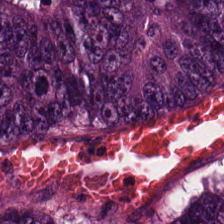Tissue type: colorectal adenocarcinoma epithelium.
